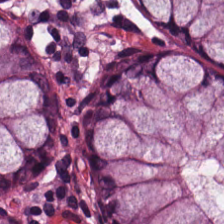Classification — normal colon mucosa.
